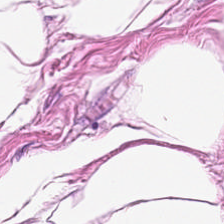0.5 µm/px · H&E stain.
Tissue — adipocytes.
